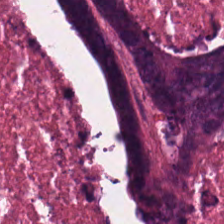Hematoxylin-and-eosin stained section.
The tissue class is debris.
